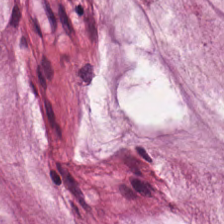224×224 px patch. H&E. The tissue is mucin.
